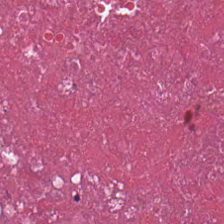Tissue class: cellular debris.
